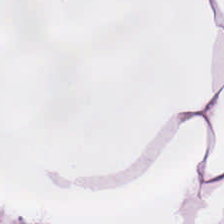Hematoxylin-and-eosin stained section. 0.5 µm/px — The predominant tissue is adipose.
